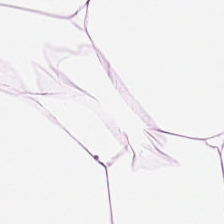Hematoxylin and eosin · 224×224 px patch.
Q: What is shown here?
A: Adipose tissue.
